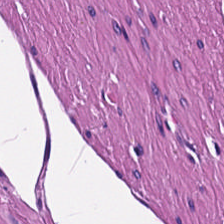Stain: H&E stain.
Resolution: 0.5 µm/px.
Tissue: smooth-muscle tissue.
